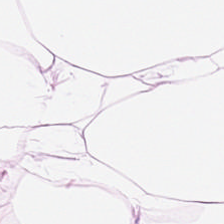Histology → adipose tissue.
